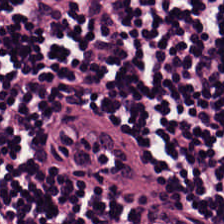Impression → lymphocytes.
